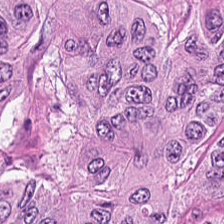Hematoxylin and eosin — Impression — adenocarcinoma.
